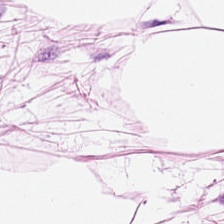Hematoxylin and eosin · 224×224 pixel tile · FFPE — Tissue class = adipocytes.
